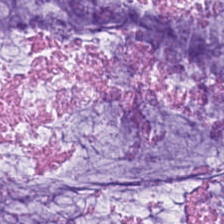H&E-stained tissue section; 0.5 microns per pixel. Tissue class = extracellular mucin.
